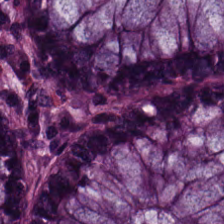Stain: H&E.
Preparation: FFPE.
Tissue class: non-neoplastic colon mucosa.
